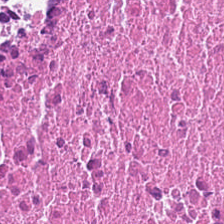H&E. The tissue here is necrotic debris.
